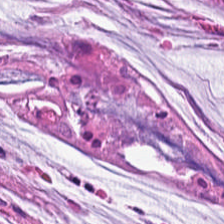H&E.
Predominantly extracellular mucin.
